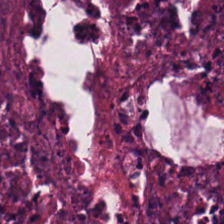Hematoxylin and eosin — Histology → necrotic debris.
